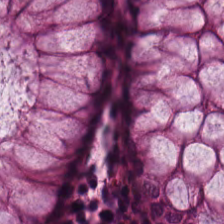Tissue class = normal colonic mucosa.
